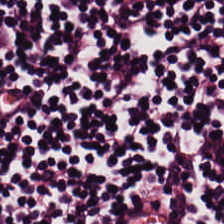Hematoxylin-and-eosin section: lymphocytes.
